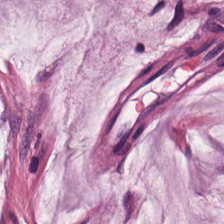Tissue = extracellular mucin.
